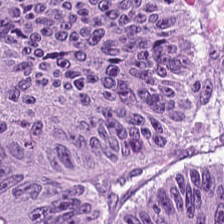WSI patch · H&E · FFPE tissue section — Tissue: malignant epithelium.
